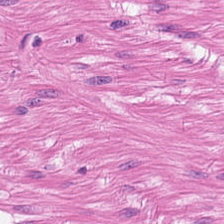Impression — smooth muscle.
